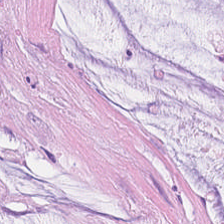Predominant tissue = mucin.
